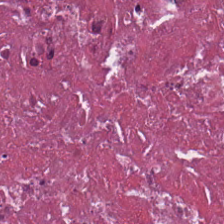Hematoxylin and eosin.
Tissue class = necrotic debris.
